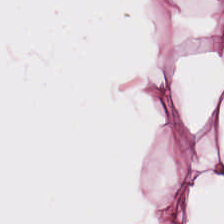H&E · FFPE tissue section — Q: What is the predominant tissue type?
A: The field shows adipose.
